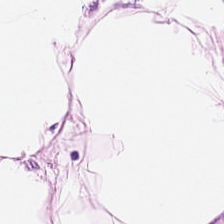Stain: H&E stain.
Classification: adipose tissue.
